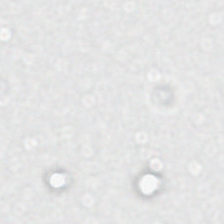Empty field — background (no tissue).
